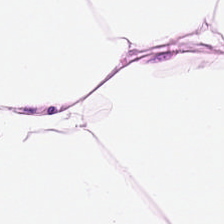Hematoxylin and eosin — The predominant tissue is adipocytes.
